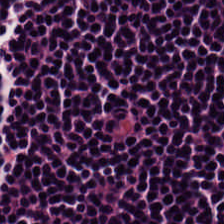H&E stain — The tissue type is lymphoid infiltrate.
